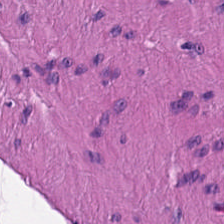Q: What is shown in this field?
A: Smooth-muscle tissue.
